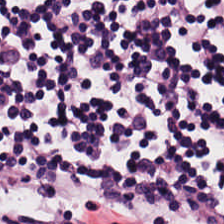Hematoxylin-and-eosin stained section. The tissue here is lymphoid infiltrate.
